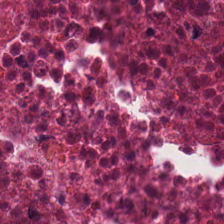Whole-slide-image patch. Formalin-fixed paraffin-embedded section. Hematoxylin-and-eosin stained section.
Q: Identify the tissue.
A: The field shows cellular debris.
